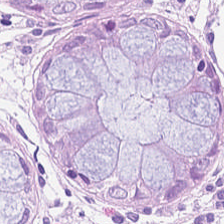The tissue class is non-neoplastic colon mucosa.
